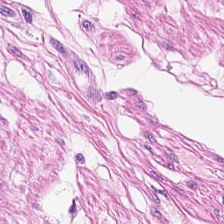Showing muscularis.
